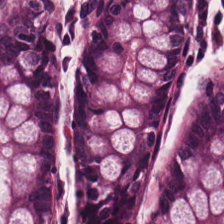0.5 µm per pixel · hematoxylin and eosin. Tissue — normal colon mucosa.
